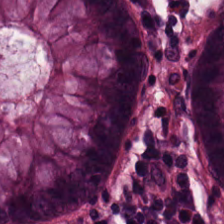WSI patch. Hematoxylin-and-eosin stained section. This patch shows normal colonic mucosa.
